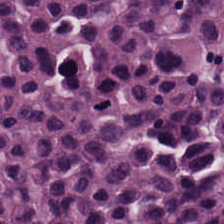FFPE · H&E — Tissue class: lymphocytic infiltrate.
